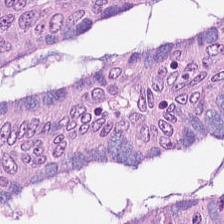0.5 µm/px; FFPE tissue section; H&E-stained tissue section. Tissue = colorectal adenocarcinoma epithelium.
